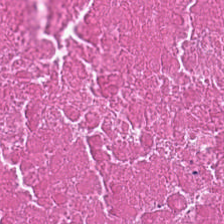H&E stain · 224×224 px patch. The tissue type is debris.
